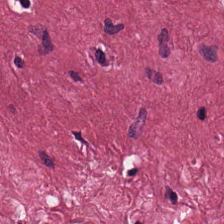Hematoxylin-and-eosin stained section — Q: What is shown here?
A: This is tumor stroma.
